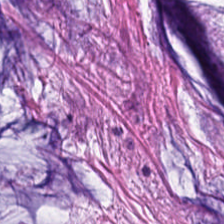H&E-stained tissue section showing mucin.
